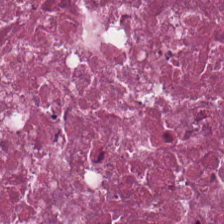H&E. FFPE tissue section. Showing debris.
